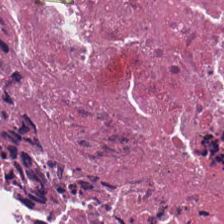H&E — cellular debris.
